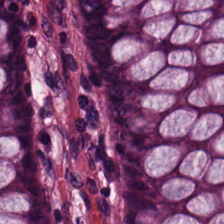Tissue class — normal colonic mucosa.
